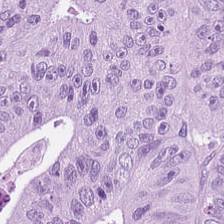Tissue class — colorectal adenocarcinoma.
